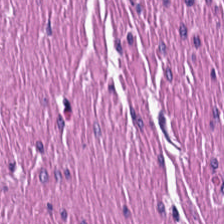H&E — Q: What tissue is shown?
A: It is muscularis.
